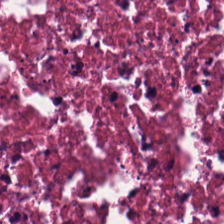H&E-stained tissue section. {"tissue_type": "cellular debris"}
